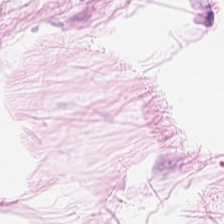H&E stain. Brightfield.
Histology → adipose.
